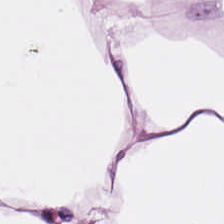The tissue is adipose.
